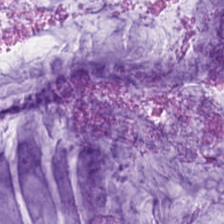H&E stain. This patch shows extracellular mucin.
